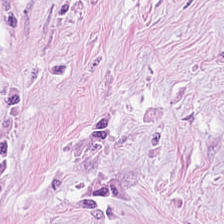H&E stain.
Predominantly tumor stroma.
